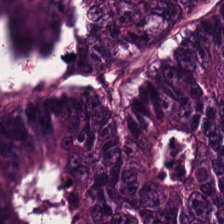H&E; FFPE; brightfield microscopy. Predominant tissue: malignant epithelium.
